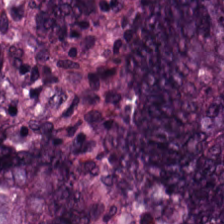The predominant tissue is colorectal adenocarcinoma epithelium.
